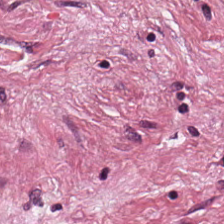Hematoxylin and eosin — The tissue class is tumor stroma.
